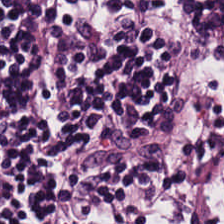Hematoxylin and eosin. The classification is lymphocyte aggregate.
